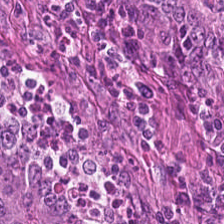H&E stain — Predominant tissue = tumor epithelium.
